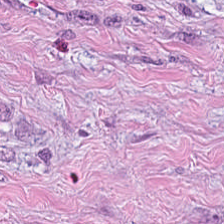H&E-stained tissue section · 224×224 pixel tile — Q: What type of tissue is this?
A: The field shows desmoplastic stroma.
